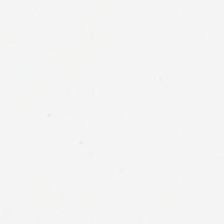224×224 pixel tile · whole-slide-image patch · H&E-stained tissue section — Finding → background.
